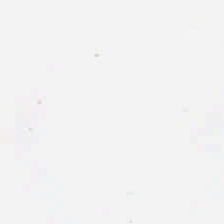Brightfield. Hematoxylin and eosin.
Impression → background.
